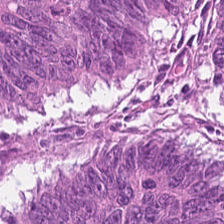H&E-stained tissue section; 0.5 µm per pixel — {"tissue_type": "adenocarcinoma"}
